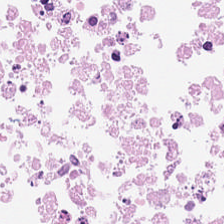Stain: H&E stain.
Tissue: cellular debris.
